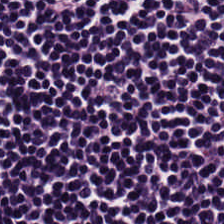H&E-stained tissue section.
The classification is lymphocytic infiltrate.
